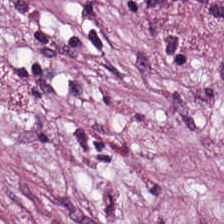Brightfield · H&E-stained tissue section. Showing tumor stroma.
